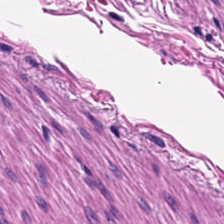Hematoxylin-and-eosin stained section.
The predominant tissue is smooth muscle.
